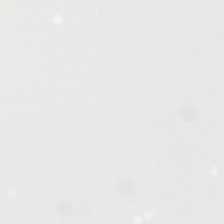H&E; FFPE tissue section. Q: Classify this patch.
A: Background (no tissue).
